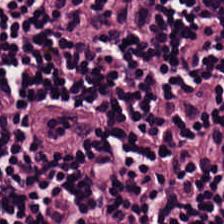Whole-slide-image patch. H&E. Tissue class — lymphocytic infiltrate.
